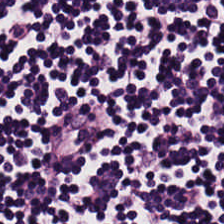Hematoxylin-and-eosin stained section.
Predominant tissue: lymphocyte aggregate.
